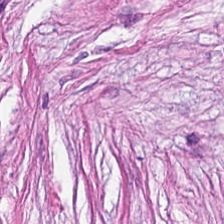Formalin-fixed paraffin-embedded section; H&E.
Tissue = cancer-associated stroma.
